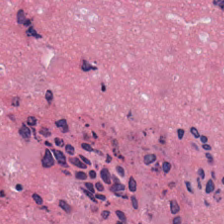Tissue type — debris.
